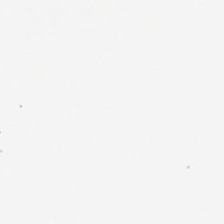H&E stain.
Classification — empty background.
